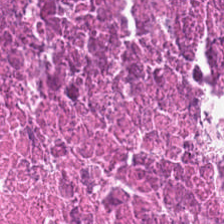Impression — debris.
